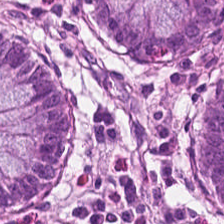Hematoxylin-and-eosin stained section; brightfield microscopy.
Q: What is shown here?
A: Benign colonic mucosa.
